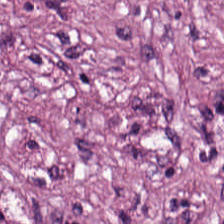Formalin-fixed paraffin-embedded section; hematoxylin-and-eosin stained section; brightfield.
The classification is desmoplastic stroma.
